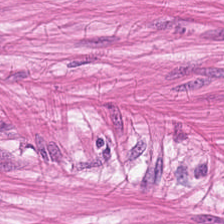Predominant tissue — muscularis.
